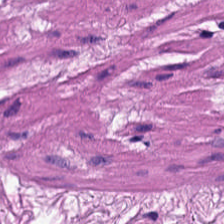Brightfield; H&E-stained tissue section.
This patch shows muscularis.
